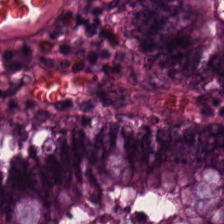Normal colon mucosa.
